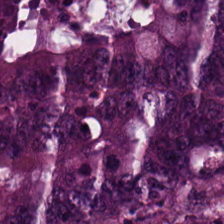Hematoxylin and eosin — Tumor epithelium.
